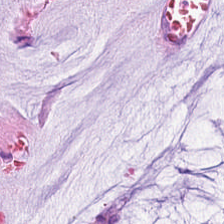H&E.
Tissue class — mucin.
